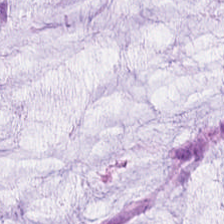Histology → extracellular mucin.
